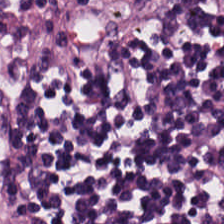H&E-stained tissue section · whole-slide-image patch — Q: What is the predominant tissue type?
A: The field shows lymphocyte aggregate.
